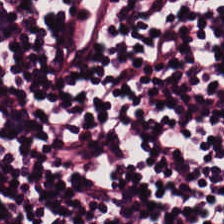Classification = lymphocytic infiltrate.
